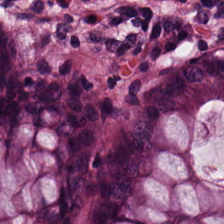Tissue class — non-neoplastic colon mucosa.
